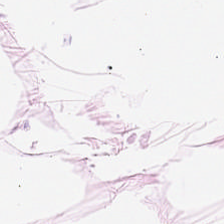H&E — The classification is adipose.
